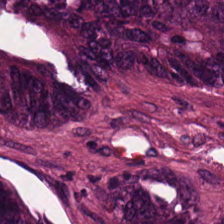224×224 px tile; hematoxylin and eosin; 0.5 microns per pixel. Q: What tissue is shown?
A: This is colorectal adenocarcinoma.
